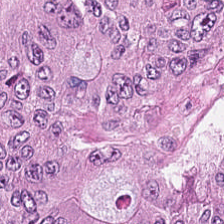Hematoxylin-and-eosin stained section. The classification is tumor epithelium.
